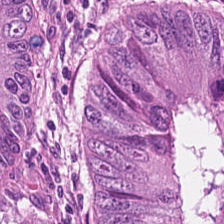WSI patch; formalin-fixed paraffin-embedded section; H&E stain — Tissue = colorectal adenocarcinoma.
